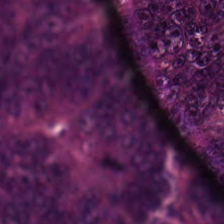Hematoxylin and eosin — Tissue type: colorectal adenocarcinoma.
